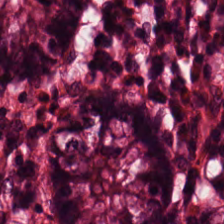Brightfield. Hematoxylin and eosin. FFPE tissue section. This field is benign colonic mucosa.
